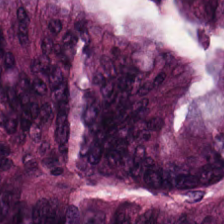Whole-slide-image patch; H&E-stained tissue section — Q: What is shown in this field?
A: Malignant epithelium.
